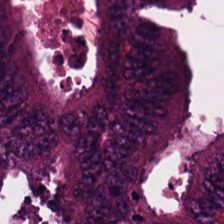WSI patch · H&E-stained tissue section · 0.5 µm/px — Histology — colorectal adenocarcinoma epithelium.
